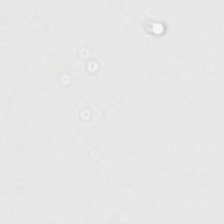H&E-stained tissue section. Brightfield microscopy. 224×224 px patch.
Background — no tissue in this field.
